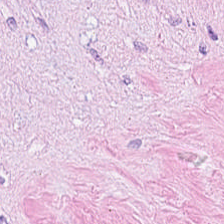Hematoxylin-and-eosin stained section.
This field is desmoplastic stroma.
